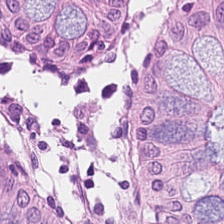H&E patch showing normal colonic mucosa.
